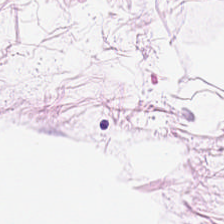Stain: H&E stain.
Classification: adipose tissue.
